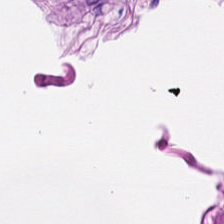Stain: H&E.
Classification: smooth-muscle tissue.
